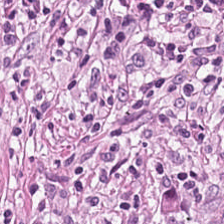H&E.
Showing tumor-associated stroma.
